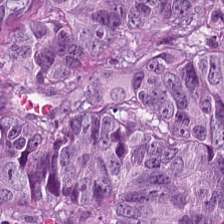Tumor epithelium.
